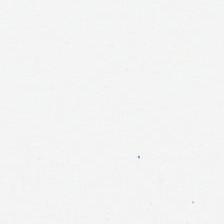H&E.
Finding → background (no tissue).
